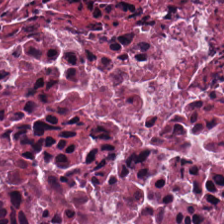Hematoxylin and eosin. Brightfield. Finding — necrotic debris.
